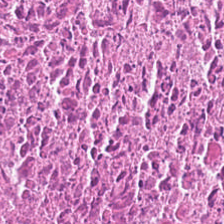Hematoxylin-and-eosin stained section — The predominant tissue is cellular debris.
